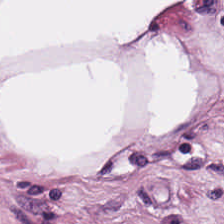WSI patch. H&E.
Q: Identify the tissue.
A: It is adipose.
